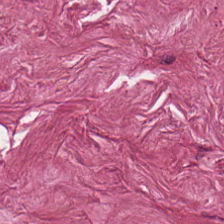Hematoxylin and eosin. 0.5 µm/px. Whole-slide-image patch — The tissue class is tumor-associated stroma.
